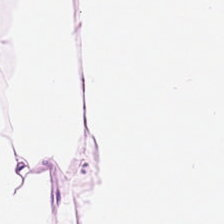Tissue type: adipose.
